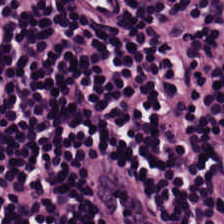Hematoxylin and eosin; formalin-fixed paraffin-embedded section; 0.5 µm/px — This field is lymphoid infiltrate.
